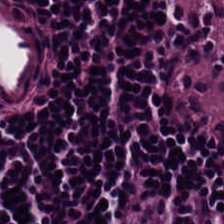H&E; 224×224 px tile — Q: What tissue type is shown here?
A: Lymphoid infiltrate.
